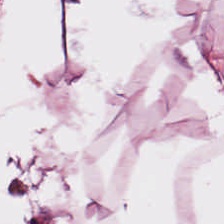H&E stain.
Q: What is the predominant tissue type?
A: The field shows fat tissue.
